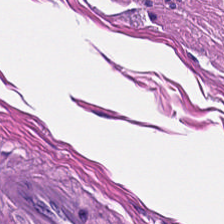Hematoxylin-and-eosin stained section.
Showing muscularis.
